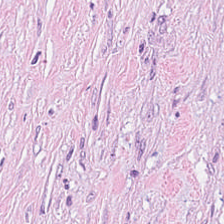The predominant tissue is desmoplastic stroma.
